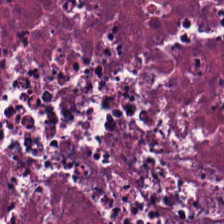H&E-stained tissue section. 224×224 px tile.
Q: Identify the tissue.
A: It is cellular debris.
